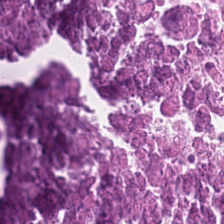H&E. This field is cellular debris.
